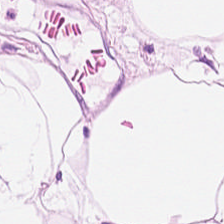Hematoxylin-and-eosin stained section. Whole-slide-image patch — Q: Classify this patch.
A: It is adipose tissue.
